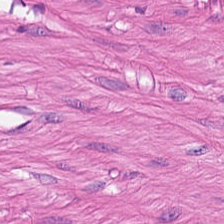Tissue = smooth-muscle tissue.
